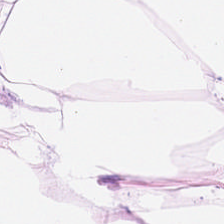Classification — adipose tissue.
